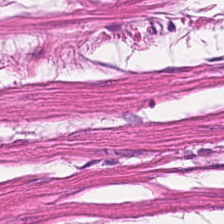Hematoxylin-and-eosin stained section. Predominantly smooth-muscle tissue.
